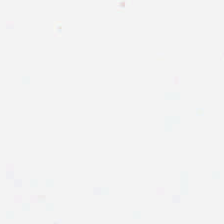Classification: empty background.
